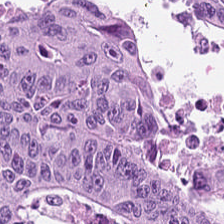Histology — malignant epithelium.
